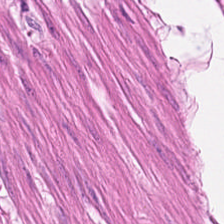Stain: hematoxylin-and-eosin stained section.
Tissue class: muscularis.
